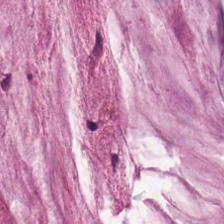WSI patch; 20× equivalent magnification; H&E-stained tissue section.
Impression — mucin.
